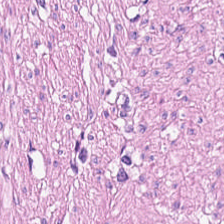H&E stain. Q: What does this patch show?
A: The field shows smooth muscle.
